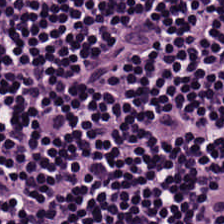Hematoxylin-and-eosin stained section. FFPE. The predominant tissue is lymphocyte aggregate.
